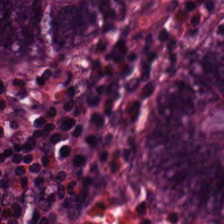0.5 µm/px. FFPE tissue section. H&E.
Benign colonic mucosa.
